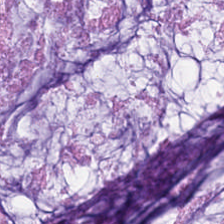{"tissue_type": "mucin"}
